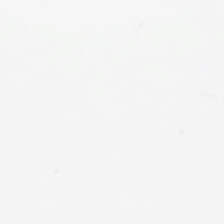224×224 px tile. H&E-stained tissue section — Q: What is shown in this field?
A: The field shows empty background.
